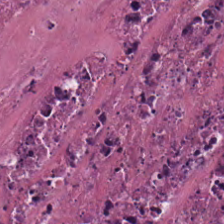Brightfield microscopy; hematoxylin-and-eosin stained section. Showing necrotic debris.
